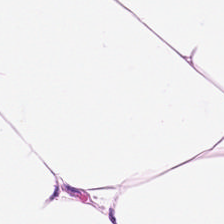Hematoxylin and eosin · 0.5 µm per pixel · 224×224 px tile — Predominant tissue: adipose.
